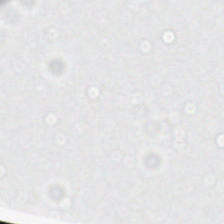Hematoxylin-and-eosin stained section — No tissue.
